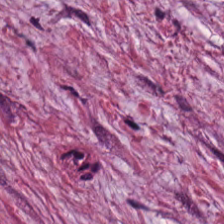H&E-stained tissue section. 0.5 microns per pixel. WSI patch. This patch shows cancer-associated stroma.
